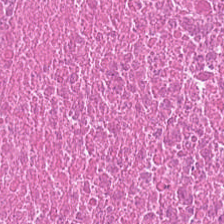Formalin-fixed paraffin-embedded section. H&E stain. 224×224 px tile. Q: What is the predominant tissue type?
A: Necrotic debris.
